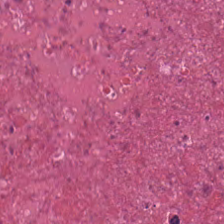H&E. Histology → cellular debris.
